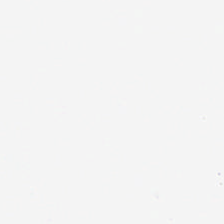Impression → background (no tissue).
